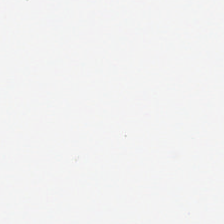Impression — background (no tissue).
